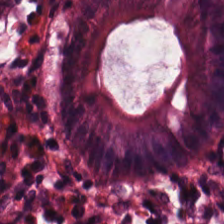Brightfield microscopy · formalin-fixed paraffin-embedded section · H&E — The tissue here is non-neoplastic colon mucosa.
